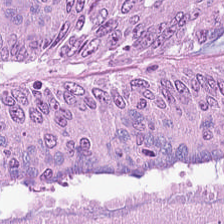Hematoxylin and eosin.
Tissue class: colorectal adenocarcinoma epithelium.
